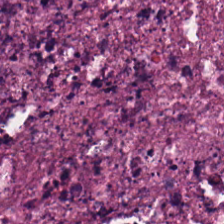H&E.
Showing cellular debris.
